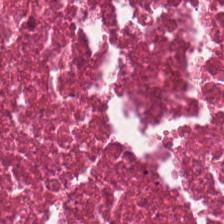Brightfield microscopy; hematoxylin-and-eosin stained section.
Predominantly debris.
